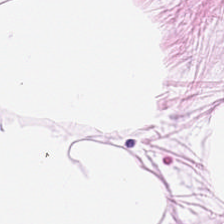Hematoxylin and eosin; WSI patch — Histology — adipose.
